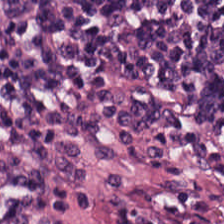H&E-stained tissue section · formalin-fixed paraffin-embedded section · 224×224 px patch. This patch shows lymphocyte aggregate.
